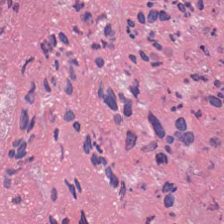This field is necrotic debris.
